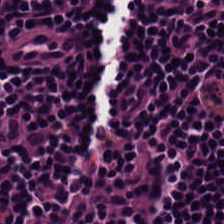WSI patch. Formalin-fixed paraffin-embedded section. H&E stain.
{"tissue_type": "lymphocytic infiltrate"}
